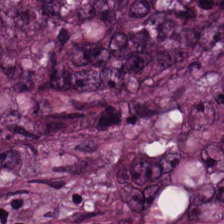Tissue type: colorectal adenocarcinoma epithelium.
